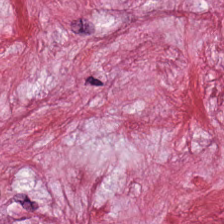Stain: H&E-stained tissue section.
Tile size: 224×224 px patch.
Tissue: cancer-associated stroma.
